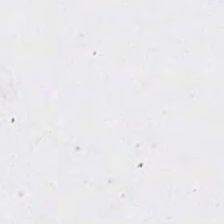H&E stain; 224×224 px patch.
This field is background (no tissue).
